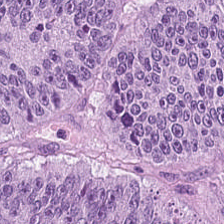H&E-stained tissue section. 224×224 px tile. Tissue: tumor epithelium.
